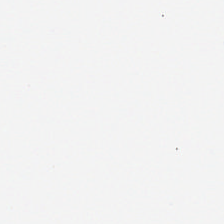H&E-stained tissue section. Formalin-fixed paraffin-embedded section. The field content is background.
